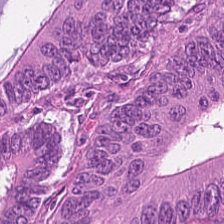Stain: hematoxylin-and-eosin stained section.
Acquisition: whole-slide-image patch.
Tile size: 224×224 pixel tile.
Tissue: adenocarcinoma.
